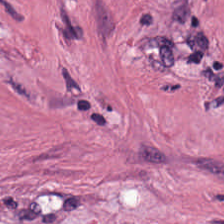Histology → cancer-associated stroma.
